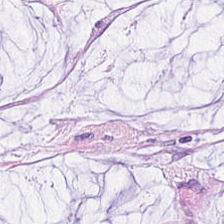Stain: H&E stain.
Predominant tissue: mucus.
